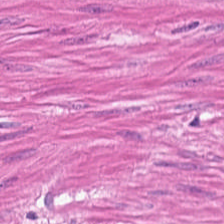Hematoxylin and eosin.
The predominant tissue is smooth muscle.
